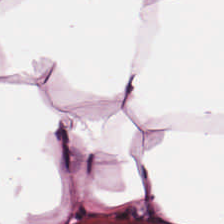0.5 µm per pixel. H&E stain. 224×224 px patch. {"tissue_type": "adipocytes"}
